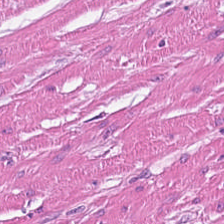H&E stain.
Q: Identify the tissue.
A: The field shows muscularis.
